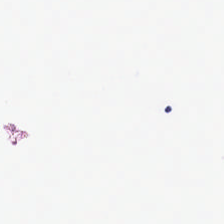Hematoxylin and eosin; 0.5 µm per pixel.
Field content — background.
